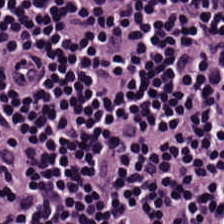Stain: H&E.
Resolution: 0.5 µm/px.
Predominant tissue: lymphocytic infiltrate.
